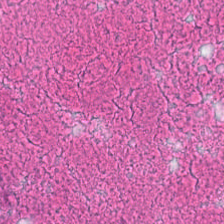Whole-slide-image patch · hematoxylin-and-eosin stained section · 0.5 µm per pixel. This patch shows necrotic debris.
